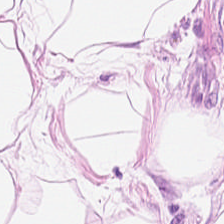Hematoxylin and eosin — Finding — adipose.
